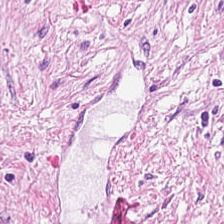This patch shows tumor-associated stroma.
